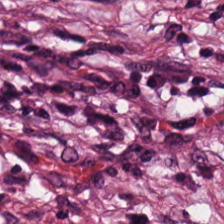Hematoxylin and eosin. Q: Identify the tissue.
A: The field shows desmoplastic stroma.
